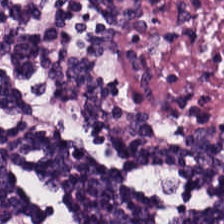Hematoxylin-and-eosin stained section · FFPE.
The tissue class is lymphoid infiltrate.
